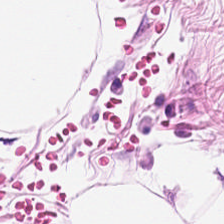Hematoxylin and eosin. Fat tissue.
